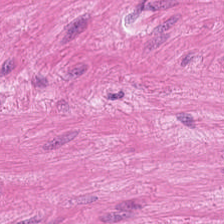H&E stain.
Q: What is the predominant tissue type?
A: This is smooth-muscle tissue.
